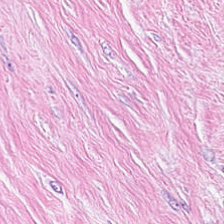WSI patch; H&E stain; FFPE tissue section.
Q: What type of tissue is this?
A: It is tumor-associated stroma.
